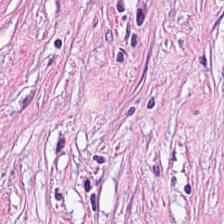Hematoxylin-and-eosin stained section.
The tissue class is desmoplastic stroma.
